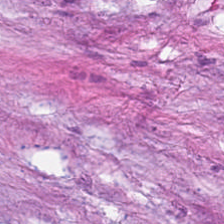H&E-stained tissue section. Brightfield microscopy. FFPE tissue section — Q: What is the predominant tissue type?
A: Tumor-associated stroma.
